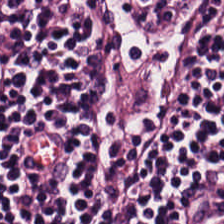The tissue here is lymphocyte aggregate.
